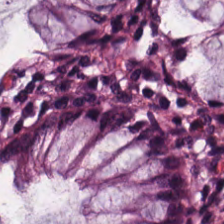H&E stain — {"tissue_type": "normal colonic mucosa"}
